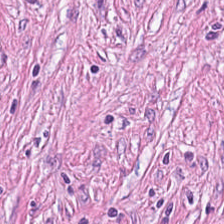H&E-stained tissue section.
Tissue class — tumor-associated stroma.
